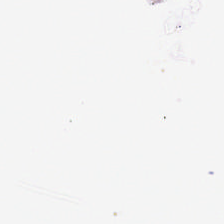H&E-stained tissue section. Background.
